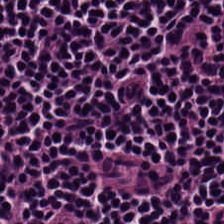Stain: hematoxylin-and-eosin stained section.
Tissue: lymphocytic infiltrate.
